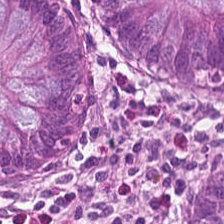Impression → normal colon mucosa.
